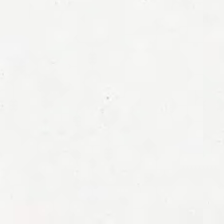Hematoxylin and eosin.
Classification = background (no tissue).
